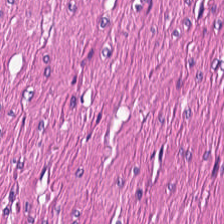Hematoxylin-and-eosin stained section — Q: Identify the tissue.
A: The field shows smooth muscle.
